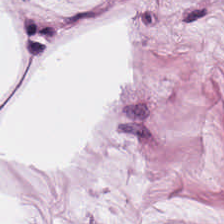Hematoxylin-and-eosin stained section. WSI patch. The tissue type is adipocytes.
